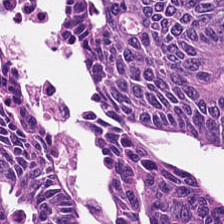Stain: hematoxylin-and-eosin stained section.
Tissue class: colorectal adenocarcinoma epithelium.
